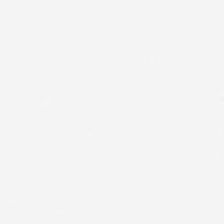Stain: hematoxylin and eosin.
Resolution: 20× equivalent magnification.
Classification: background.
